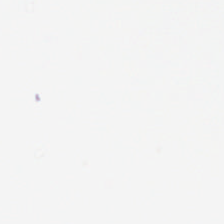Stain: H&E stain.
Classification: background.
